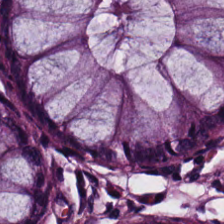Stain: H&E.
Preparation: FFPE tissue section.
Tissue type: benign colonic mucosa.
